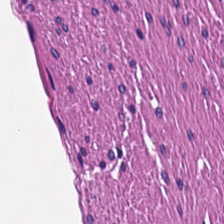H&E. Q: What does this patch show?
A: It is muscularis.
